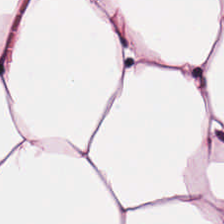H&E · 0.5 µm/px. Predominantly adipose tissue.
